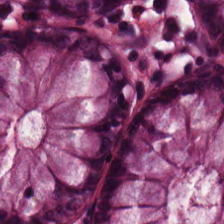H&E — This field is normal colon mucosa.
